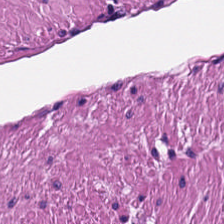H&E-stained tissue section.
Q: What type of tissue is this?
A: This is smooth muscle.
